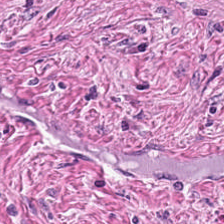H&E-stained tissue section — This field is tumor stroma.
